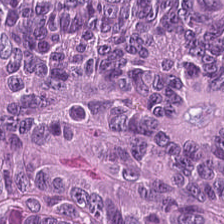H&E-stained tissue section — {"tissue_type": "adenocarcinoma"}
